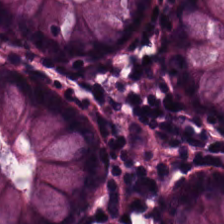FFPE tissue section; 20× equivalent magnification; hematoxylin and eosin. Tissue class: normal colonic mucosa.
